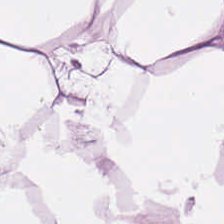Classification: fat tissue.
